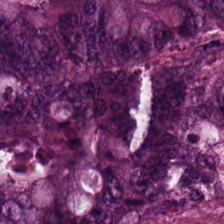Q: What tissue type is shown here?
A: Adenocarcinoma.
